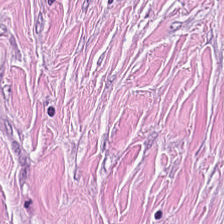224×224 px patch. H&E. Classification — tumor-associated stroma.
